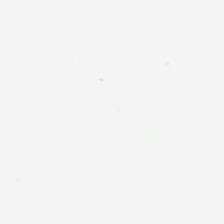0.5 µm/px. Brightfield microscopy. H&E-stained tissue section.
No tissue present; background only.
